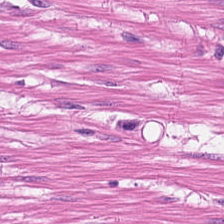The tissue class is smooth-muscle tissue.
